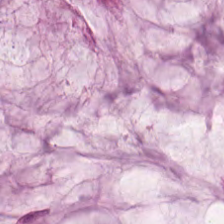Hematoxylin-and-eosin stained section. The tissue here is extracellular mucin.
